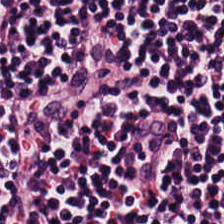20× equivalent magnification; H&E — The predominant tissue is lymphocytes.
